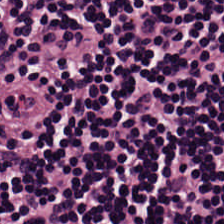H&E stain. Lymphocytes.
